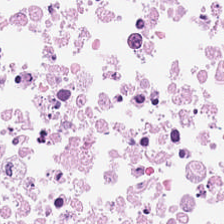H&E stain.
The tissue type is cellular debris.
